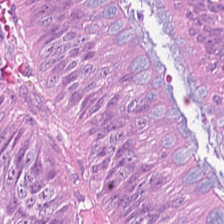H&E-stained tissue section; 0.5 µm/px — This field is tumor epithelium.
